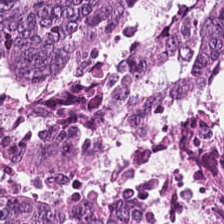Stain: hematoxylin-and-eosin stained section.
Acquisition: brightfield microscopy.
Resolution: 0.5 microns per pixel.
Predominant tissue: malignant epithelium.
